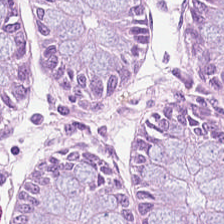0.5 µm per pixel; whole-slide-image patch; H&E-stained tissue section.
Predominantly normal colonic mucosa.
